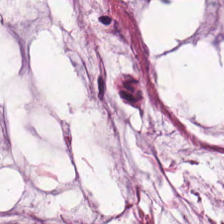H&E. Q: Identify the tissue.
A: This is extracellular mucin.
